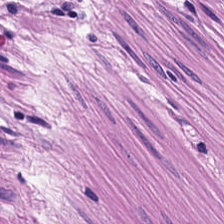Hematoxylin-and-eosin stained section — This field is smooth muscle.
